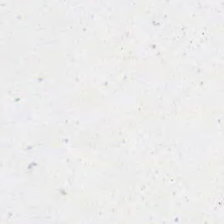Stain: hematoxylin-and-eosin stained section.
Field content: empty background.
